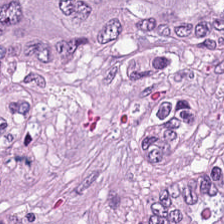H&E stain — Q: What is the predominant tissue type?
A: This is colorectal adenocarcinoma.
